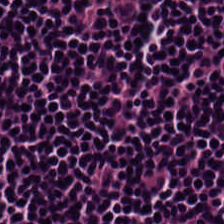Finding — lymphoid infiltrate.
